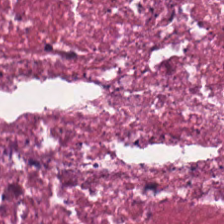Stain: hematoxylin-and-eosin stained section.
Tissue type: debris.
